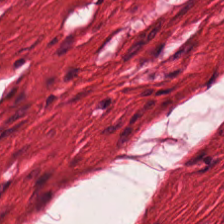Hematoxylin and eosin — Tissue — smooth muscle.
